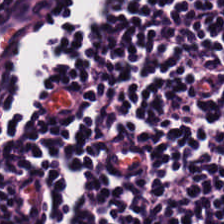Stain: H&E-stained tissue section.
Tissue type: lymphocyte aggregate.
